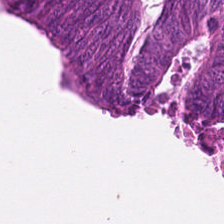224×224 pixel tile · H&E stain · brightfield — The tissue class is colorectal adenocarcinoma epithelium.
